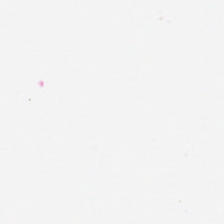224×224 px patch · H&E-stained tissue section. Q: Classify this patch.
A: The field shows empty background.
